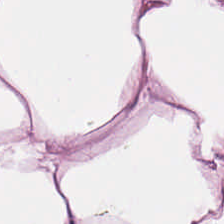The classification is fat tissue.
